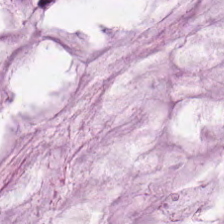Stain: hematoxylin and eosin.
Preparation: formalin-fixed paraffin-embedded section.
Predominant tissue: mucus.
